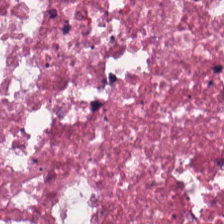Hematoxylin-and-eosin stained section — Tissue — debris.
